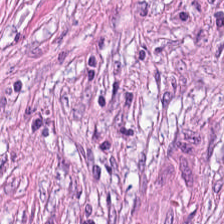H&E-stained section; the field shows tumor stroma.
